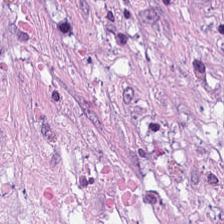{"tissue_type": "tumor stroma"}
